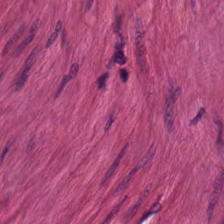Hematoxylin and eosin · 224×224 px tile · brightfield. Q: What does this patch show?
A: The field shows smooth-muscle tissue.
